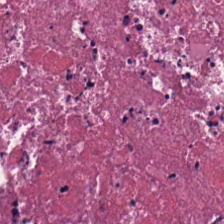Hematoxylin and eosin. Predominant tissue — necrotic debris.
